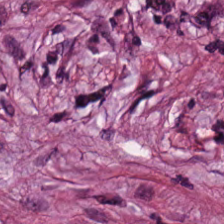Hematoxylin and eosin — The predominant tissue is tumor stroma.
